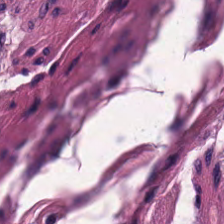H&E.
Tissue = smooth muscle.
